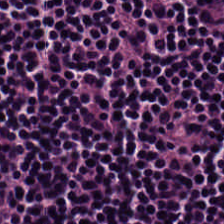Stain: hematoxylin-and-eosin stained section.
Tissue class: lymphoid infiltrate.
